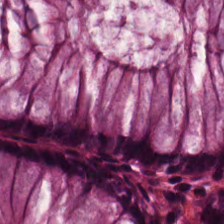Stain: hematoxylin and eosin.
Tissue class: normal colonic mucosa.
